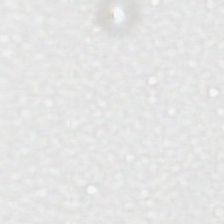0.5 µm/px. H&E stain. WSI patch. Finding — no tissue.
